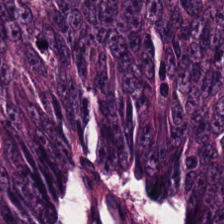Hematoxylin and eosin. The classification is colorectal adenocarcinoma.
